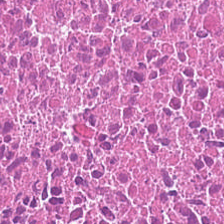Predominant tissue: cellular debris.
